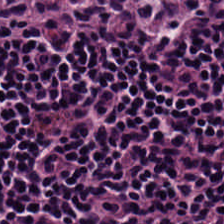Hematoxylin-and-eosin stained section.
Finding — lymphocytic infiltrate.
